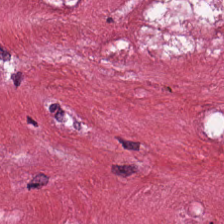Histology — tumor-associated stroma.
